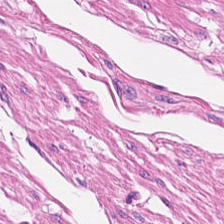Hematoxylin and eosin — Q: What type of tissue is this?
A: This is muscularis.
